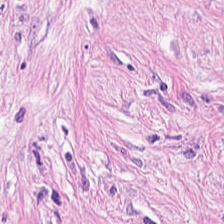224×224 pixel tile; brightfield; H&E stain — Classification: desmoplastic stroma.
